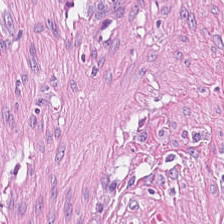Stain: H&E stain.
Tissue class: desmoplastic stroma.
